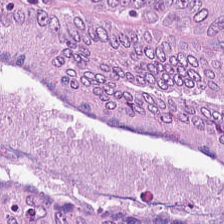Hematoxylin-and-eosin stained section. FFPE tissue section. The tissue here is colorectal adenocarcinoma epithelium.
